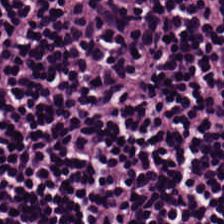Finding — lymphocytic infiltrate.
